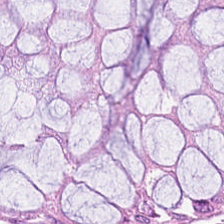224×224 px tile; hematoxylin-and-eosin stained section. Q: What is shown in this field?
A: This is normal colonic mucosa.
